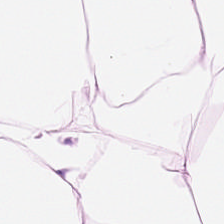Whole-slide-image patch. 0.5 µm per pixel. Hematoxylin and eosin. Q: What is shown here?
A: This is adipose tissue.
